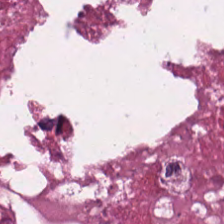H&E — The predominant tissue is debris.
